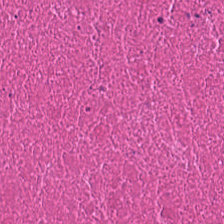H&E-stained section; the field shows necrotic debris.
